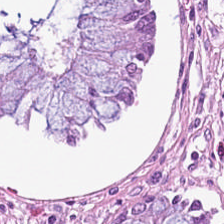H&E-stained tissue section · 224×224 px patch. This field is normal colonic mucosa.
